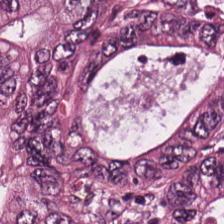Stain: hematoxylin and eosin.
Predominant tissue: malignant epithelium.
